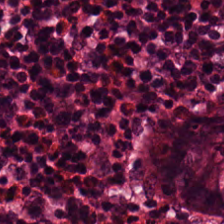Hematoxylin and eosin · whole-slide-image patch.
Histology — normal colon mucosa.
